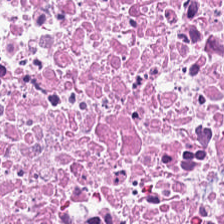Hematoxylin and eosin. Brightfield microscopy. FFPE tissue section.
Finding → debris.
